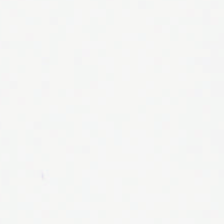H&E-stained tissue section. Whole-slide-image patch. The classification is no tissue.
